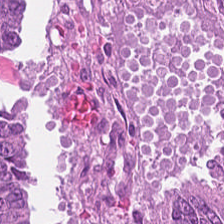H&E stain — Classification: malignant epithelium.
